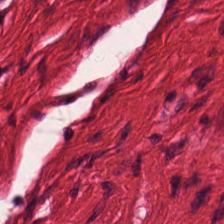This patch shows muscularis.
